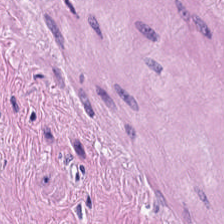Stain: hematoxylin and eosin.
Tissue class: smooth-muscle tissue.
